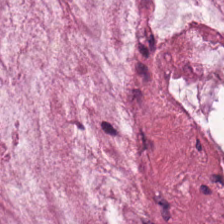H&E-stained tissue section; 224×224 px patch — Predominantly extracellular mucin.
